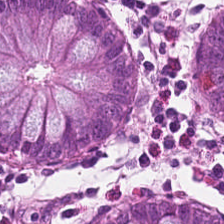{"tissue_type": "normal colonic mucosa"}
